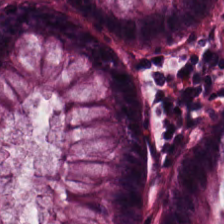H&E. The tissue here is normal colon mucosa.
